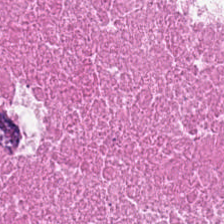H&E · 224×224 px tile · FFPE tissue section. Classification: necrotic debris.
